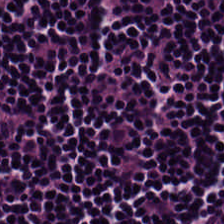Stain: H&E.
Tile size: 224×224 px tile.
Acquisition: brightfield microscopy.
Tissue type: lymphocytic infiltrate.
